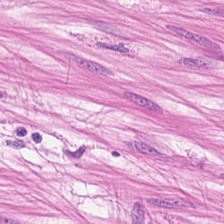Q: What is shown here?
A: It is muscularis.
